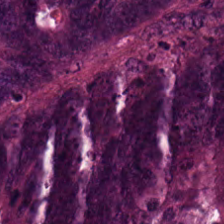Hematoxylin and eosin · whole-slide-image patch · 0.5 µm per pixel.
Q: Classify this patch.
A: The field shows colorectal adenocarcinoma epithelium.
